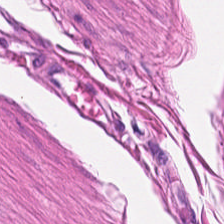H&E stain — Q: What is shown here?
A: This is smooth-muscle tissue.
